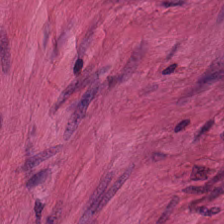Q: What type of tissue is this?
A: This is smooth muscle.
